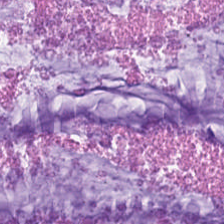H&E patch showing extracellular mucin.
